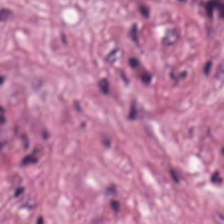Stain: H&E.
Resolution: 0.5 µm/px.
Acquisition: brightfield.
Classification: cancer-associated stroma.
